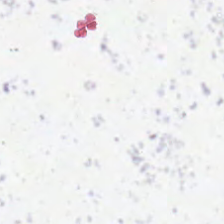H&E stain.
This field is background (no tissue).
